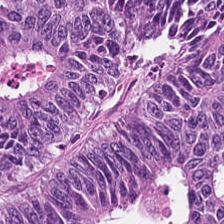H&E — Tumor epithelium.
